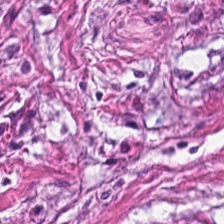Classification = tumor-associated stroma.
